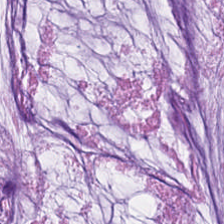H&E stain.
This patch shows extracellular mucin.
